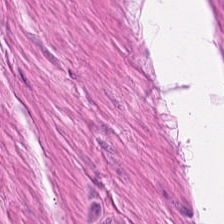Whole-slide-image patch. H&E stain. Showing smooth-muscle tissue.
